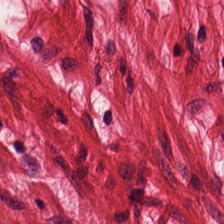Hematoxylin and eosin; brightfield.
Q: What is shown in this field?
A: It is smooth-muscle tissue.
